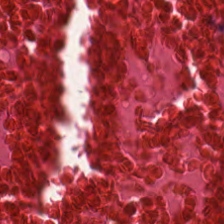Finding — debris.
